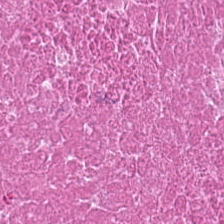Hematoxylin and eosin · WSI patch · 0.5 µm per pixel. The tissue here is debris.
